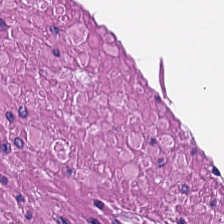Whole-slide-image patch. H&E-stained tissue section.
Predominantly smooth muscle.
